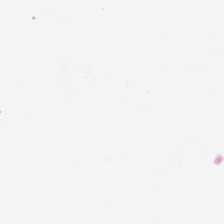FFPE · hematoxylin-and-eosin stained section. Background — no tissue in this field.
